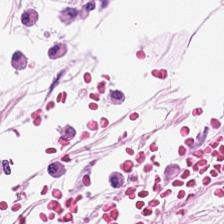0.5 µm per pixel · hematoxylin and eosin · formalin-fixed paraffin-embedded section — The predominant tissue is adipose.
